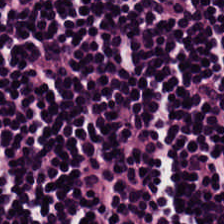Stain: H&E-stained tissue section.
Acquisition: WSI patch.
Tissue: lymphocyte aggregate.
